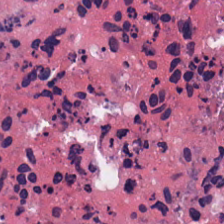20× equivalent magnification · hematoxylin-and-eosin stained section — The tissue here is debris.
